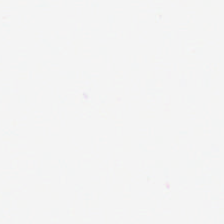H&E-stained tissue section — {"content": "no tissue"}
